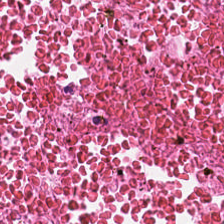0.5 microns per pixel · H&E.
Q: Classify this patch.
A: It is cellular debris.
